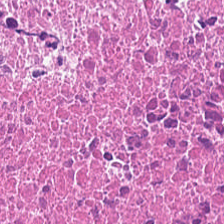H&E-stained section; the field shows cellular debris.
